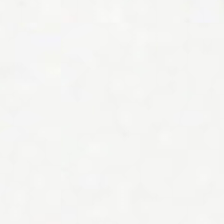224×224 px patch; hematoxylin and eosin; brightfield. Empty field — empty background.
